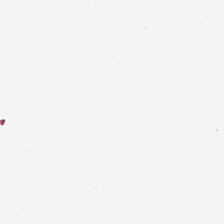H&E stain — Classification = no tissue.
